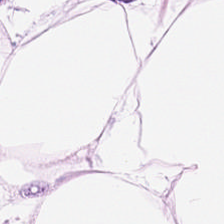Tissue type — adipocytes.
